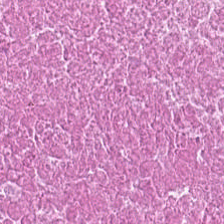H&E stain.
Showing cellular debris.
